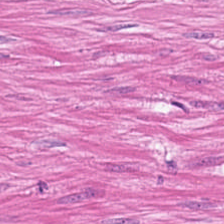H&E stain.
Histology → muscularis.
